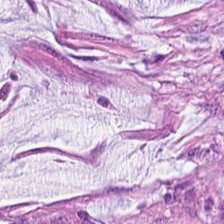H&E. Showing extracellular mucin.
